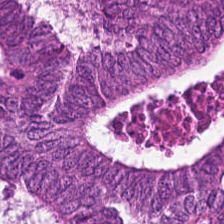Hematoxylin-and-eosin stained section · 224×224 px patch. {"tissue_type": "colorectal adenocarcinoma epithelium"}
